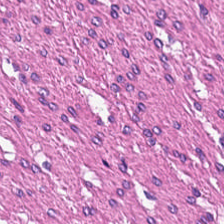H&E stain. The tissue is smooth-muscle tissue.
